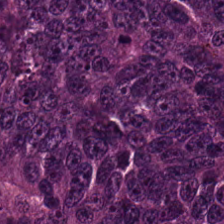H&E-stained tissue section — The predominant tissue is colorectal adenocarcinoma epithelium.
